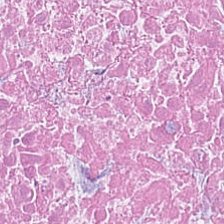H&E stain. FFPE — The predominant tissue is necrotic debris.
